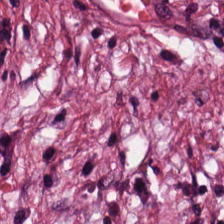Stain: hematoxylin and eosin.
Classification: tumor-associated stroma.
